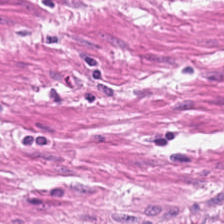Hematoxylin and eosin. Classification: smooth muscle.
